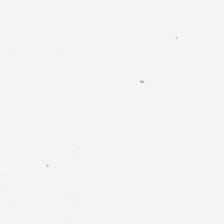H&E-stained tissue section. {"content": "background"}
